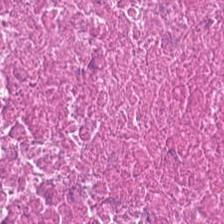H&E-stained tissue section · formalin-fixed paraffin-embedded section · 0.5 microns per pixel. This patch shows necrotic debris.
